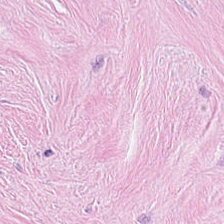Tissue class = cancer-associated stroma.
